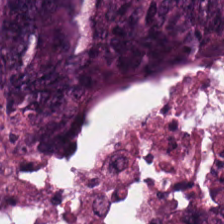Hematoxylin and eosin.
Impression — colorectal adenocarcinoma epithelium.
